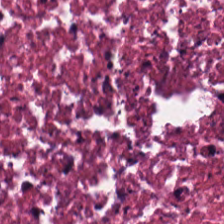Hematoxylin and eosin.
The predominant tissue is necrotic debris.
